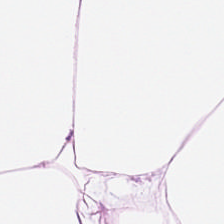Stain: H&E-stained tissue section.
Tissue type: adipose tissue.
